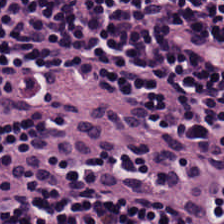Hematoxylin and eosin. Tissue type: lymphoid infiltrate.
